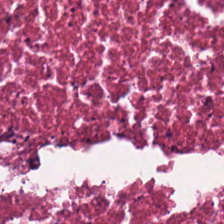Hematoxylin-and-eosin stained section.
{"tissue_type": "cellular debris"}
